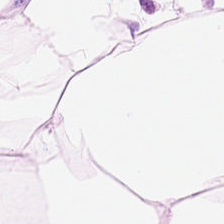Hematoxylin-and-eosin stained section.
Tissue: fat tissue.
